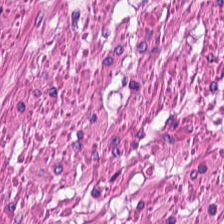H&E patch showing smooth muscle.
